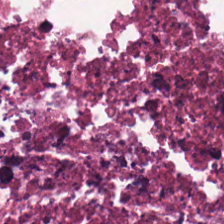Tissue class: debris.
